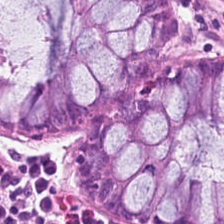Hematoxylin-and-eosin stained section · FFPE. Q: What is shown here?
A: Non-neoplastic colon mucosa.
